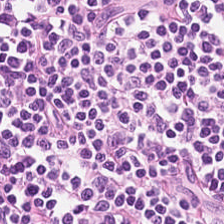WSI patch; hematoxylin and eosin; FFPE tissue section.
Q: What is the predominant tissue type?
A: The field shows lymphoid infiltrate.
